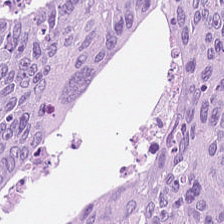Brightfield · hematoxylin and eosin.
The tissue here is colorectal adenocarcinoma.
